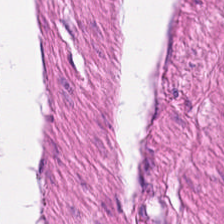H&E stain.
Predominantly muscularis.
